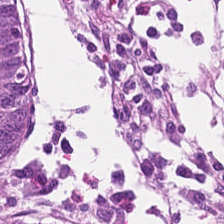H&E stain — Q: What is the predominant tissue type?
A: The field shows benign colonic mucosa.
